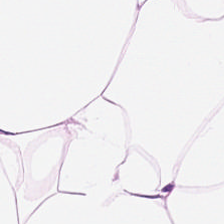H&E-stained tissue section — Predominant tissue — adipocytes.
